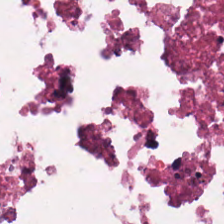Stain: H&E.
Preparation: FFPE tissue section.
Classification: necrotic debris.
